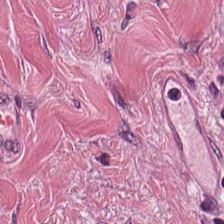20× equivalent magnification; brightfield microscopy; H&E-stained tissue section. The predominant tissue is tumor-associated stroma.
